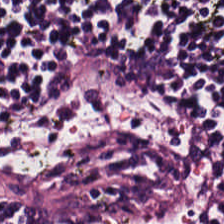H&E stain.
The tissue is lymphocytes.
